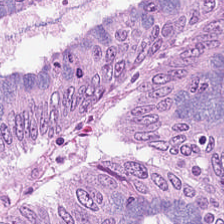H&E stain.
Showing adenocarcinoma.
